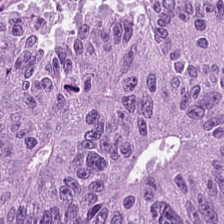H&E stain. The tissue is tumor epithelium.
